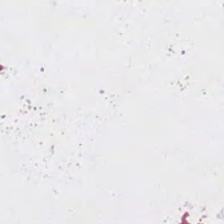No tissue present; background only.
